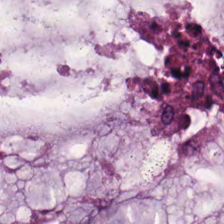Formalin-fixed paraffin-embedded section · H&E · 0.5 microns per pixel. The predominant tissue is mucus.
